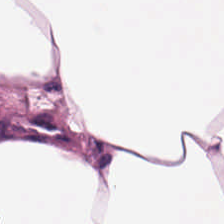FFPE. Hematoxylin and eosin. This field is adipose.
